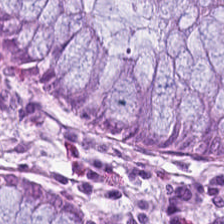Showing benign colonic mucosa.
